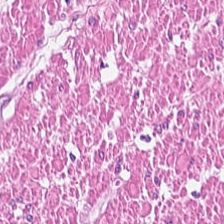H&E-stained tissue section — The classification is muscularis.
